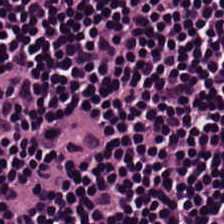H&E.
Predominantly lymphocytic infiltrate.
